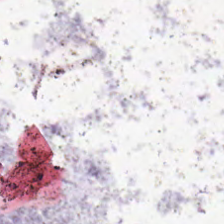H&E.
{"content": "empty background"}
